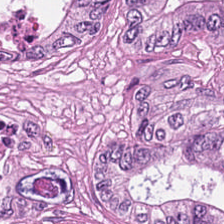H&E.
{"tissue_type": "colorectal adenocarcinoma"}
